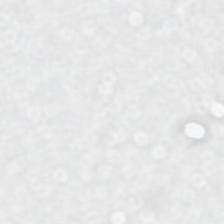Background — no tissue in this field.
